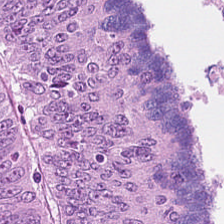Q: What tissue is shown?
A: It is adenocarcinoma.
